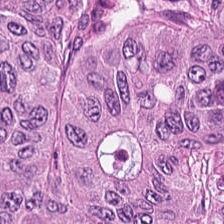Hematoxylin-and-eosin stained section; FFPE; 0.5 µm/px — This field is adenocarcinoma.
